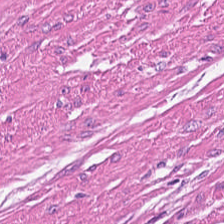H&E. Q: Identify the tissue.
A: The field shows muscularis.
